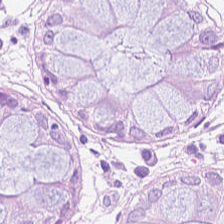H&E-stained tissue section. FFPE tissue section — The classification is normal colon mucosa.
